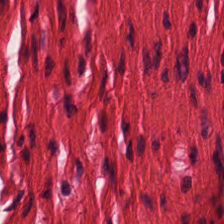H&E stain.
This field is smooth-muscle tissue.
